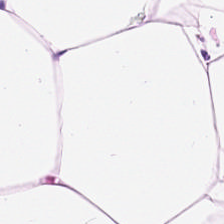Brightfield microscopy; formalin-fixed paraffin-embedded section; hematoxylin and eosin.
Adipose tissue.
